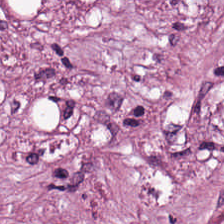H&E stain.
Predominantly tumor-associated stroma.
